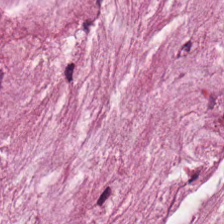H&E-stained tissue section — Q: What is the predominant tissue type?
A: Mucus.
